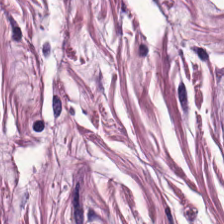H&E-stained tissue section — {"tissue_type": "smooth muscle"}
